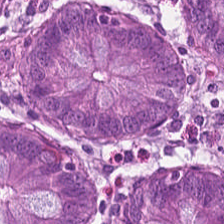H&E — Predominant tissue: non-neoplastic colon mucosa.
